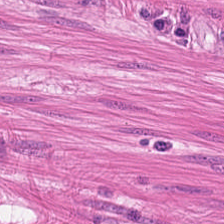H&E-stained tissue section.
The tissue type is smooth muscle.
